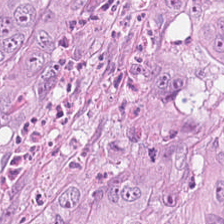224×224 px patch; H&E-stained tissue section.
Histology — adenocarcinoma.
